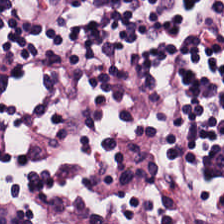Stain: H&E-stained tissue section.
Resolution: 0.5 µm/px.
Classification: lymphocyte aggregate.
